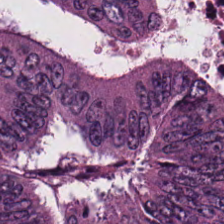H&E-stained tissue section.
Impression → tumor epithelium.
